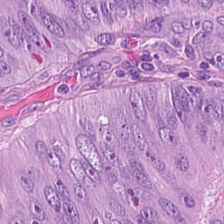Q: What type of tissue is this?
A: Colorectal adenocarcinoma.
